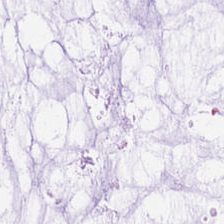Hematoxylin and eosin · formalin-fixed paraffin-embedded section · 224×224 px tile. Tissue class: mucin.
